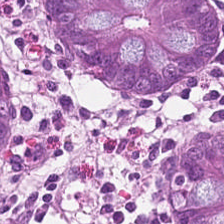Hematoxylin-and-eosin stained section.
Q: What is shown here?
A: The field shows normal colon mucosa.
